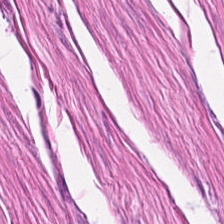Stain: H&E-stained tissue section.
Resolution: 0.5 microns per pixel.
Classification: smooth muscle.
